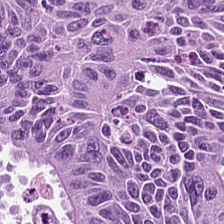FFPE · hematoxylin-and-eosin stained section. Impression — adenocarcinoma.
